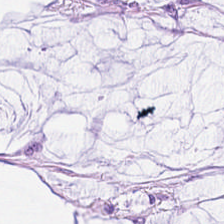Stain: H&E-stained tissue section.
Preparation: FFPE tissue section.
Classification: mucin.
